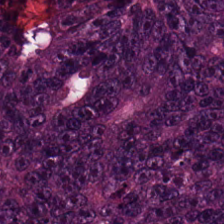Stain: hematoxylin-and-eosin stained section.
Classification: colorectal adenocarcinoma.
